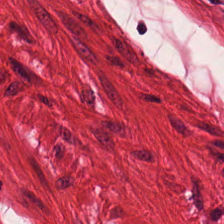FFPE tissue section. 20× equivalent magnification. Hematoxylin and eosin — This field is smooth muscle.
